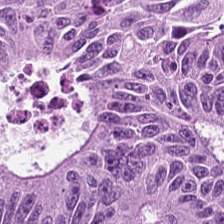20× equivalent magnification. 224×224 px tile. Hematoxylin and eosin.
Malignant epithelium.
